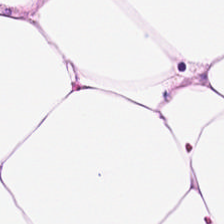H&E stain · brightfield · 20× equivalent magnification. {"tissue_type": "adipocytes"}
